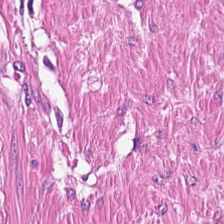Stain: H&E stain.
Classification: muscularis.
